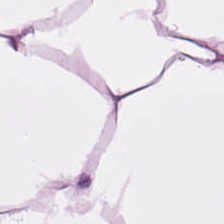H&E-stained tissue section. 224×224 pixel tile. FFPE tissue section.
Q: What tissue is shown?
A: This is adipose.
